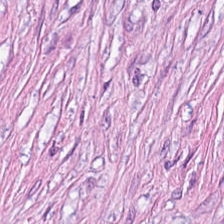Hematoxylin and eosin — Tissue type — cancer-associated stroma.
